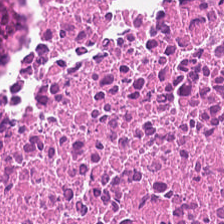H&E-stained tissue section · brightfield · FFPE tissue section.
This field is cellular debris.
